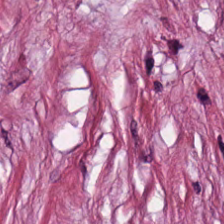{"tissue_type": "tumor stroma"}
